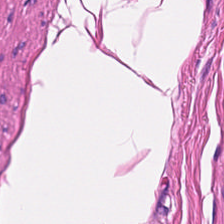Stain: hematoxylin-and-eosin stained section.
Tissue class: muscularis.
